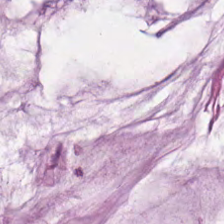Classification — mucin.
